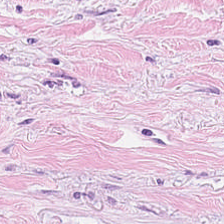Formalin-fixed paraffin-embedded section · 0.5 microns per pixel · hematoxylin and eosin. This patch shows desmoplastic stroma.
